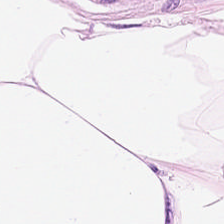Q: Classify this patch.
A: The field shows adipocytes.
